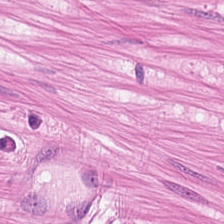Stain: H&E.
Tissue type: smooth muscle.
